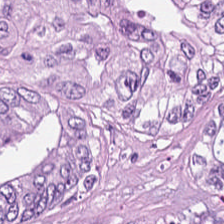0.5 µm/px; H&E; 224×224 pixel tile. Classification = tumor epithelium.
